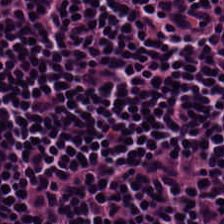H&E. Tissue class: lymphoid infiltrate.
